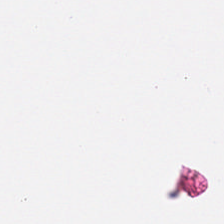Stain: hematoxylin-and-eosin stained section.
Field content: no tissue.
